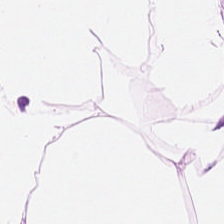Stain: hematoxylin-and-eosin stained section.
Resolution: 20× equivalent magnification.
Tissue type: adipose tissue.
